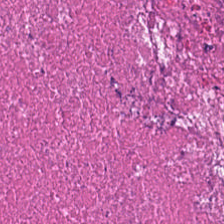Hematoxylin-and-eosin stained section.
Tissue type = debris.
